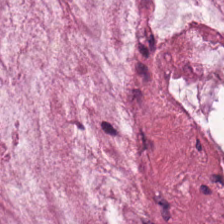Extracellular mucin.
